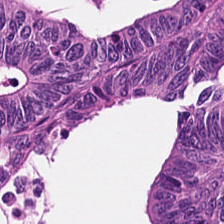Hematoxylin-and-eosin section: tumor epithelium.
